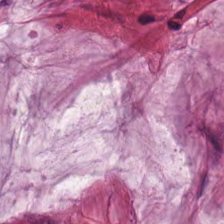H&E-stained tissue section.
Q: What type of tissue is this?
A: Mucus.
